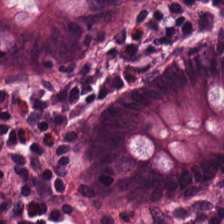Stain: H&E-stained tissue section.
Classification: benign colonic mucosa.
